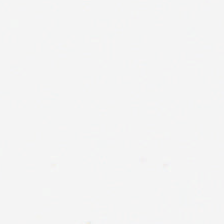H&E stain. 224×224 pixel tile.
Empty field — background.
